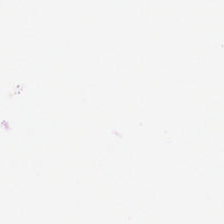20× equivalent magnification; formalin-fixed paraffin-embedded section; H&E. Field content: no tissue.
